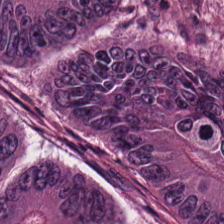FFPE tissue section; hematoxylin-and-eosin stained section.
Classification = colorectal adenocarcinoma epithelium.
